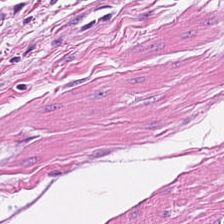{"tissue_type": "muscularis"}
